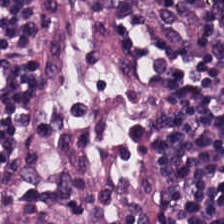H&E stain — The predominant tissue is lymphocytes.
